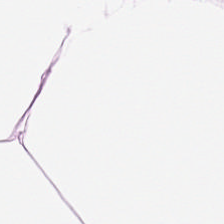H&E-stained tissue section. Q: What is the predominant tissue type?
A: The field shows adipocytes.
